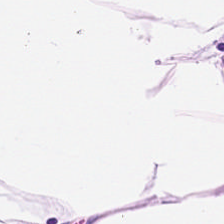FFPE. Hematoxylin and eosin. Predominant tissue — adipose tissue.
